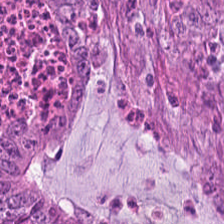Stain: H&E.
Tile size: 224×224 pixel tile.
Acquisition: whole-slide-image patch.
Tissue: malignant epithelium.
